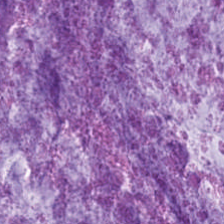{"tissue_type": "extracellular mucin"}
